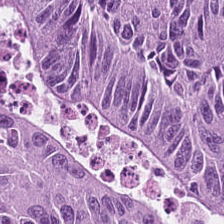Hematoxylin-and-eosin stained section.
Q: Classify this patch.
A: This is malignant epithelium.
